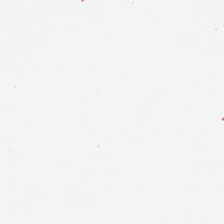Formalin-fixed paraffin-embedded section · 224×224 px patch · H&E stain.
Histology — no tissue.
